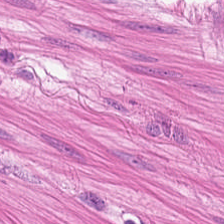Stain: H&E stain.
Tile size: 224×224 px patch.
Tissue class: muscularis.
